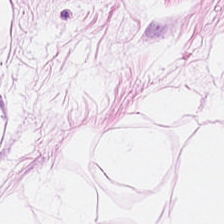Finding → fat tissue.
